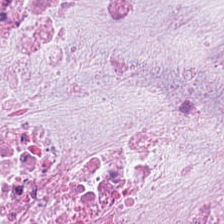224×224 px tile · H&E · 0.5 µm/px — The predominant tissue is mucus.
